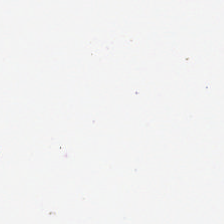Stain: H&E-stained tissue section.
Content: empty background.
